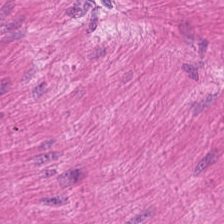H&E · 224×224 px patch — Tissue = smooth-muscle tissue.
